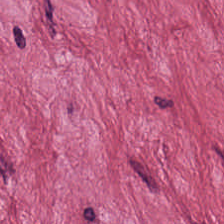Tissue type: tumor-associated stroma.
